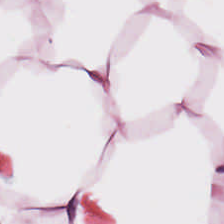H&E-stained tissue section showing adipocytes.
